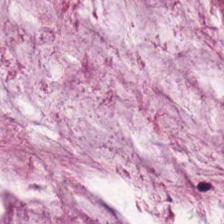H&E stain. Whole-slide-image patch — The predominant tissue is mucus.
